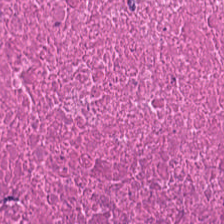Predominantly debris.
